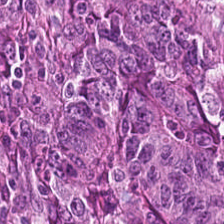H&E stain · 224×224 pixel tile · WSI patch.
The predominant tissue is tumor epithelium.
